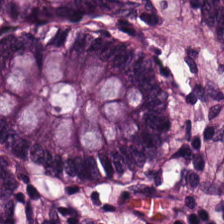Hematoxylin-and-eosin stained section · FFPE tissue section · 0.5 microns per pixel. Q: Classify this patch.
A: This is normal colon mucosa.
